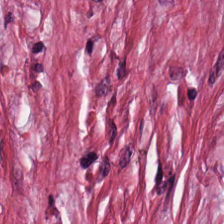Finding — cancer-associated stroma.
